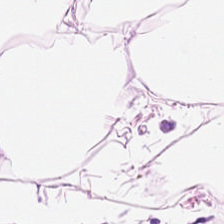H&E stain. The tissue type is adipose.
